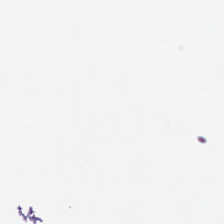Hematoxylin-and-eosin stained section — Impression → empty background.
